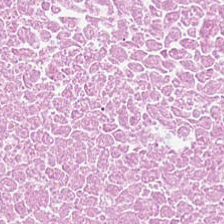Hematoxylin-and-eosin stained section. 0.5 µm/px. Classification: debris.
